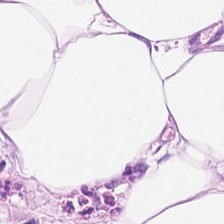Hematoxylin-and-eosin stained section.
Finding → adipose tissue.
